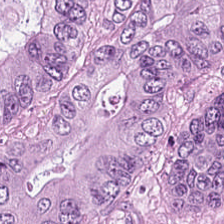H&E — malignant epithelium.
